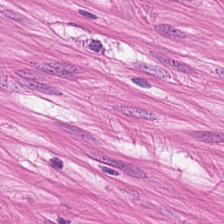H&E-stained tissue section.
Classification: smooth-muscle tissue.
